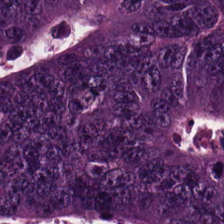Hematoxylin-and-eosin stained section · brightfield. Showing colorectal adenocarcinoma epithelium.
